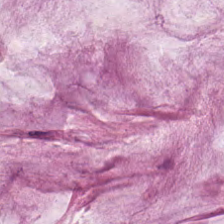0.5 µm per pixel · H&E stain.
Q: What tissue is shown?
A: Extracellular mucin.
